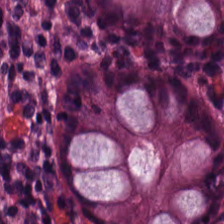Stain: H&E-stained tissue section.
Classification: non-neoplastic colon mucosa.
